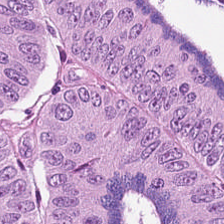Hematoxylin-and-eosin section: malignant epithelium.
